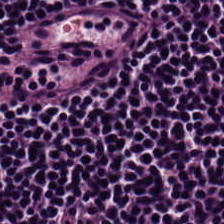H&E stain.
This field is lymphocytes.
